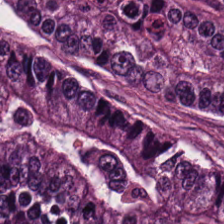The predominant tissue is colorectal adenocarcinoma epithelium.
